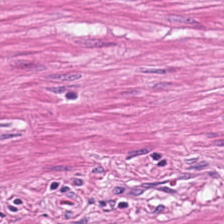Hematoxylin and eosin · FFPE · 224×224 px patch.
Smooth-muscle tissue.
